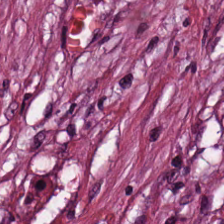H&E-stained tissue section — The classification is cancer-associated stroma.
